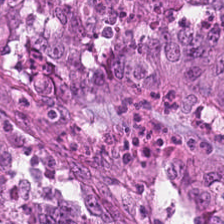H&E — malignant epithelium.
